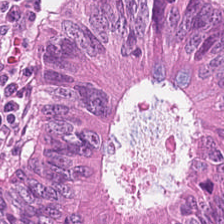Classification — malignant epithelium.
